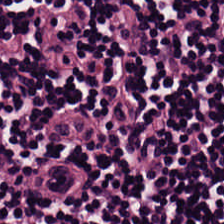H&E-stained tissue section — This field is lymphocytes.
